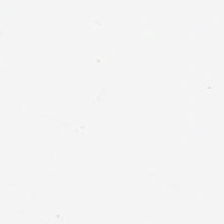Hematoxylin and eosin. 224×224 px patch. 0.5 µm per pixel. No tissue.
